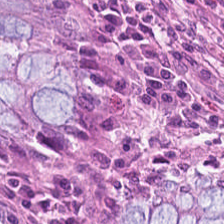Non-neoplastic colon mucosa.
